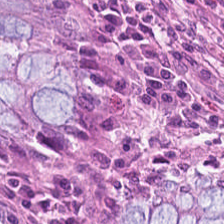Non-neoplastic colon mucosa.
